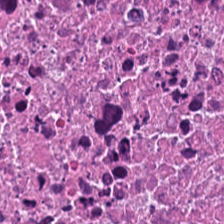Stain: H&E.
Tissue type: necrotic debris.
